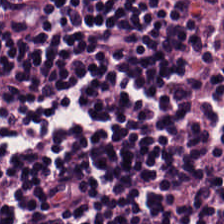Stain: H&E stain.
Preparation: formalin-fixed paraffin-embedded section.
Resolution: 0.5 µm/px.
Tissue: lymphocytic infiltrate.
